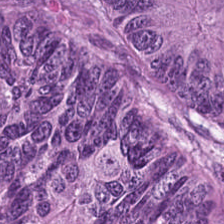This patch shows malignant epithelium.
